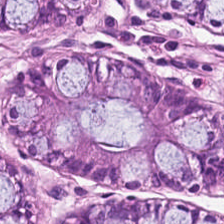Q: What is shown in this field?
A: It is non-neoplastic colon mucosa.
